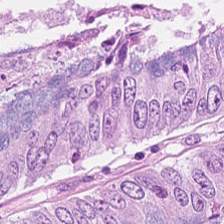0.5 µm per pixel. Hematoxylin-and-eosin stained section. Formalin-fixed paraffin-embedded section.
Tissue type: tumor epithelium.
